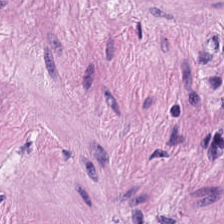Classification — muscularis.
